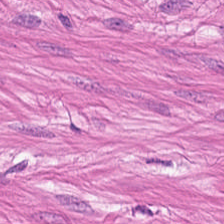{"tissue_type": "smooth muscle"}
